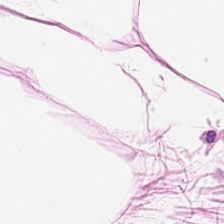H&E — This patch shows fat tissue.
